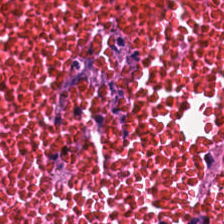Predominantly debris.
